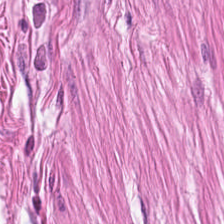H&E. Tissue type: muscularis.
